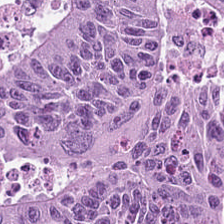WSI patch; H&E-stained tissue section. The tissue is colorectal adenocarcinoma epithelium.
